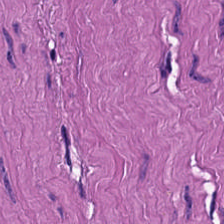Brightfield · 20× equivalent magnification · hematoxylin and eosin. Predominant tissue — muscularis.
